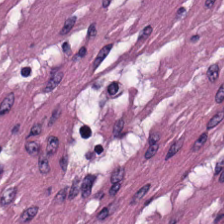H&E-stained tissue section.
Tissue class = smooth muscle.
